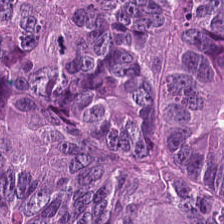Predominant tissue — colorectal adenocarcinoma epithelium.
